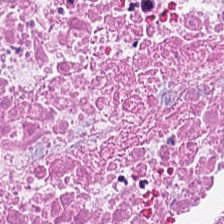Whole-slide-image patch; 20× equivalent magnification; hematoxylin-and-eosin stained section. Predominant tissue — necrotic debris.
